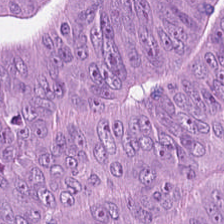224×224 px tile · hematoxylin and eosin.
{"tissue_type": "colorectal adenocarcinoma"}
